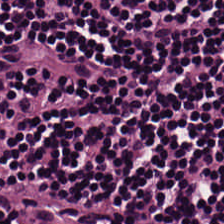Stain: H&E-stained tissue section.
Tile size: 224×224 px tile.
Classification: lymphocytes.
